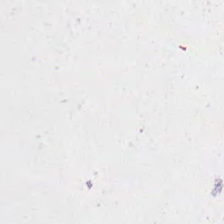Stain: H&E-stained tissue section.
Resolution: 0.5 µm per pixel.
Classification: background.
